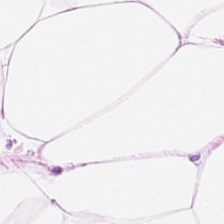Tissue type: adipocytes.
